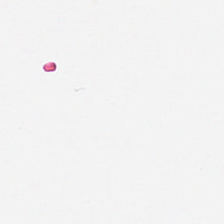Hematoxylin and eosin. 20× equivalent magnification.
Classification = background (no tissue).
